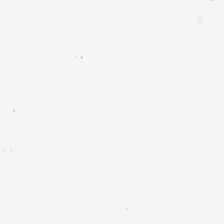WSI patch. Hematoxylin and eosin. No tissue present; background only.
